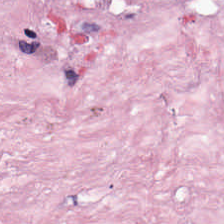H&E — This field is cancer-associated stroma.
